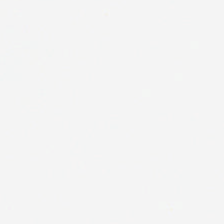Hematoxylin and eosin. 224×224 px tile. Histology — empty background.
